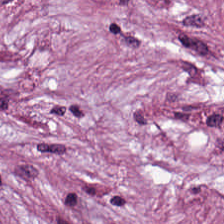H&E-stained section; the field shows tumor stroma.
